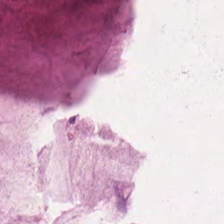Tissue type = mucin.
